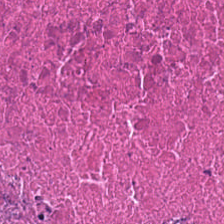Predominantly cellular debris.
